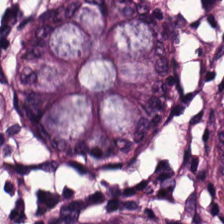0.5 microns per pixel. 224×224 px tile. Hematoxylin-and-eosin stained section.
Showing normal colon mucosa.
